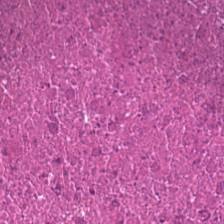This patch shows debris.
